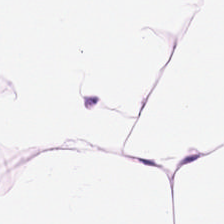Hematoxylin-and-eosin stained section.
Classification — adipose tissue.
